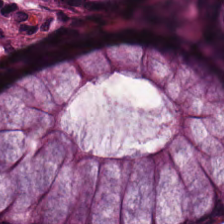H&E.
Impression — normal colon mucosa.
